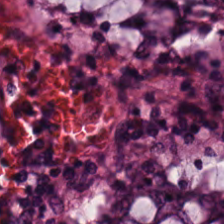H&E; brightfield microscopy — This field is benign colonic mucosa.
